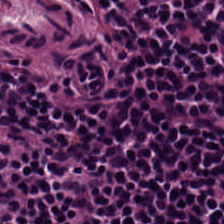Stain: hematoxylin-and-eosin stained section.
Acquisition: brightfield.
Tissue type: lymphocyte aggregate.
